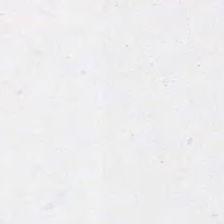H&E-stained tissue section. This field is background (no tissue).
